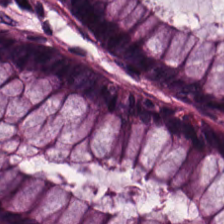The tissue class is normal colon mucosa.
